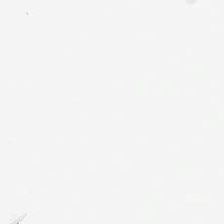Finding → background.
